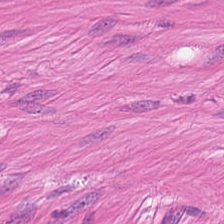224×224 px patch. H&E-stained tissue section — Finding — smooth muscle.
